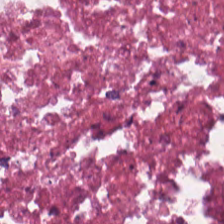Stain: hematoxylin-and-eosin stained section.
Tissue type: debris.
